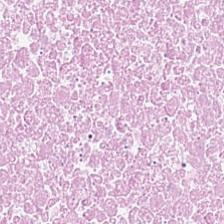Hematoxylin-and-eosin stained section — Finding — debris.
